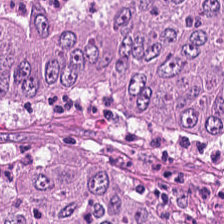Hematoxylin-and-eosin stained section. Predominantly adenocarcinoma.
